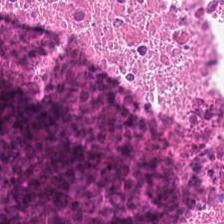0.5 microns per pixel. H&E — Finding — debris.
